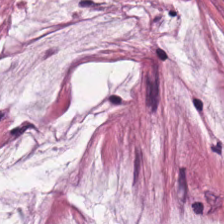H&E-stained section; the field shows mucin.
